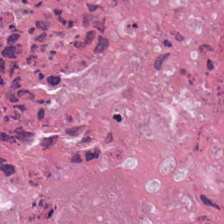H&E — Tissue class: debris.
